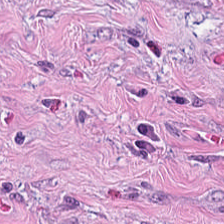224×224 px tile · hematoxylin-and-eosin stained section. Predominantly tumor-associated stroma.
